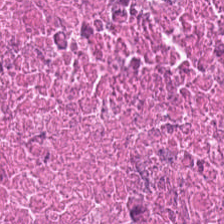Hematoxylin-and-eosin stained section; 224×224 pixel tile. {"tissue_type": "debris"}
